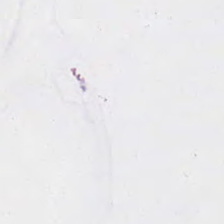Field content — background (no tissue).
